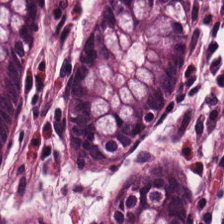H&E-stained tissue section.
Impression — benign colonic mucosa.
